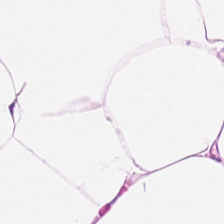This patch shows fat tissue.
